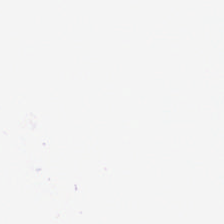No tissue present; background only.
